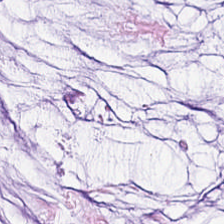Hematoxylin-and-eosin stained section — The predominant tissue is extracellular mucin.
